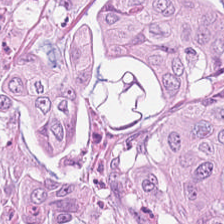WSI patch. 224×224 px tile. Hematoxylin and eosin — The predominant tissue is malignant epithelium.
